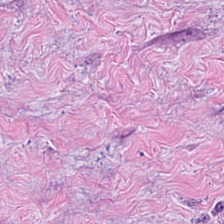H&E · 0.5 microns per pixel.
Q: What tissue type is shown here?
A: The field shows cancer-associated stroma.
